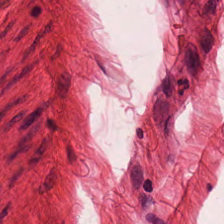This patch shows smooth muscle.
